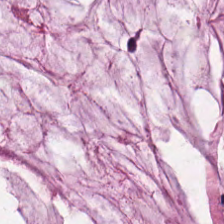Q: What is shown in this field?
A: The field shows extracellular mucin.
